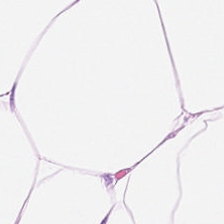20× equivalent magnification; 224×224 pixel tile; H&E-stained tissue section. Showing adipose tissue.
